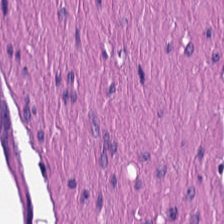Tissue = muscularis.
